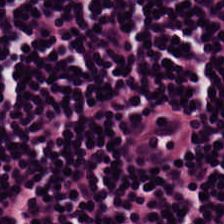Formalin-fixed paraffin-embedded section · hematoxylin-and-eosin stained section. Predominantly lymphocytes.
